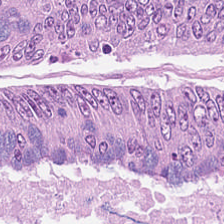Hematoxylin and eosin.
Predominantly colorectal adenocarcinoma.
